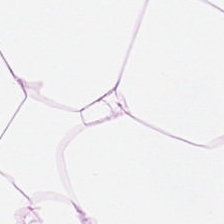H&E-stained tissue section; 224×224 px patch; formalin-fixed paraffin-embedded section. Q: What tissue type is shown here?
A: The field shows adipose.
